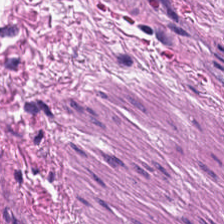FFPE; whole-slide-image patch; H&E stain.
The classification is smooth-muscle tissue.
